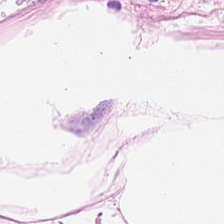Stain: H&E stain.
Preparation: FFPE tissue section.
Resolution: 0.5 microns per pixel.
Tissue: fat tissue.
